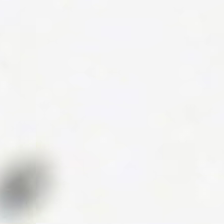Hematoxylin-and-eosin stained section. 224×224 px tile.
Background — no tissue in this field.
